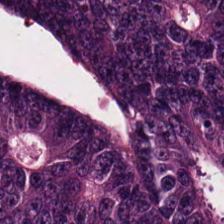H&E.
Showing malignant epithelium.
